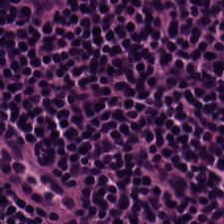Hematoxylin and eosin. The predominant tissue is lymphoid infiltrate.
